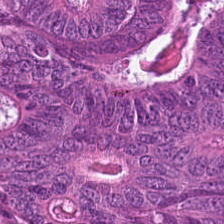224×224 px patch · 0.5 µm/px · hematoxylin and eosin — {"tissue_type": "adenocarcinoma"}
